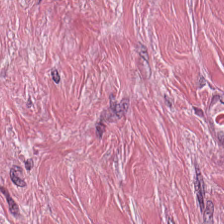224×224 px tile · 20× equivalent magnification · hematoxylin and eosin. Q: What does this patch show?
A: This is cancer-associated stroma.
